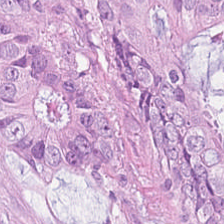Formalin-fixed paraffin-embedded section. H&E-stained tissue section. This field is tumor epithelium.
